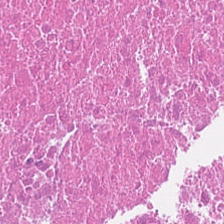Hematoxylin and eosin — Tissue type: necrotic debris.
